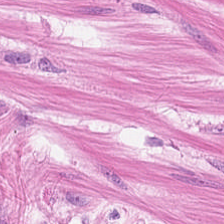H&E — Tissue: muscularis.
